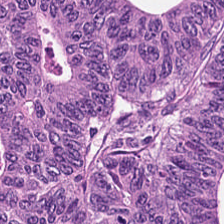H&E-stained tissue section. The tissue here is adenocarcinoma.
